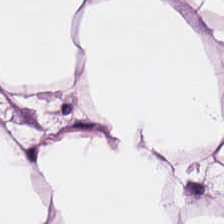Hematoxylin-and-eosin stained section. Histology → fat tissue.
